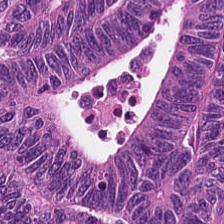Hematoxylin and eosin — This patch shows tumor epithelium.
